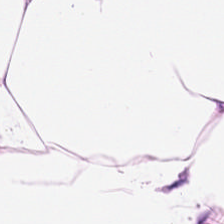This patch shows adipocytes.
